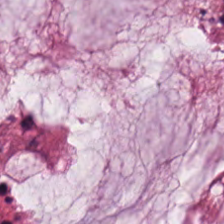H&E-stained tissue section — This patch shows mucin.
